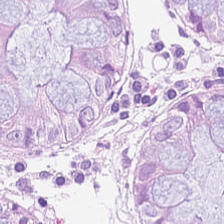Predominant tissue — non-neoplastic colon mucosa.
